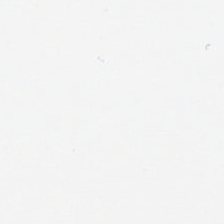H&E stain.
Background — no tissue in this field.
